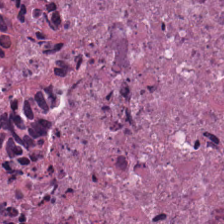H&E stain.
The tissue here is cellular debris.
